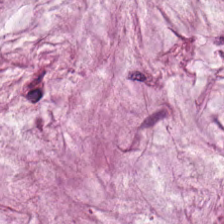H&E-stained tissue section; brightfield microscopy. Predominantly mucus.
